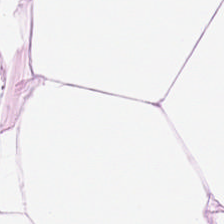H&E. Brightfield microscopy. FFPE tissue section — Q: What is shown in this field?
A: The field shows adipose tissue.
